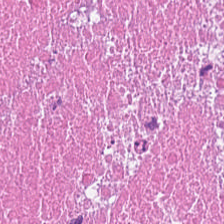Hematoxylin and eosin.
Classification = necrotic debris.
